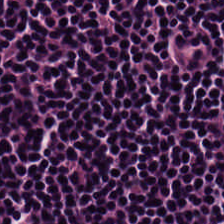Stain: hematoxylin and eosin.
Tissue type: lymphocytic infiltrate.
